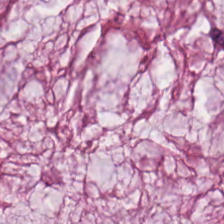Predominantly mucin.
